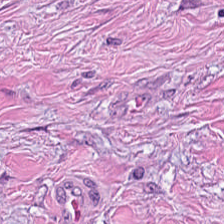FFPE tissue section; brightfield; H&E. Tissue class: tumor stroma.
